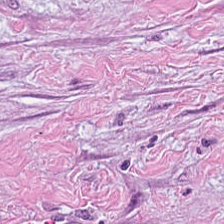Hematoxylin-and-eosin stained section — Q: What type of tissue is this?
A: This is cancer-associated stroma.
